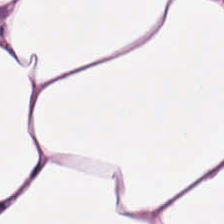H&E-stained tissue section — The predominant tissue is adipose.
